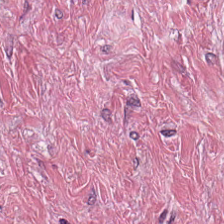H&E stain. Q: What is shown in this field?
A: This is cancer-associated stroma.
